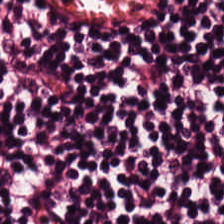H&E-stained tissue section. FFPE. 0.5 microns per pixel. Showing lymphocytes.
